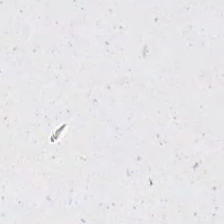Field content: empty background.
